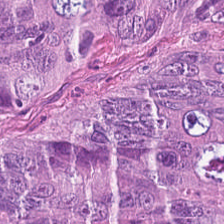Tissue type = tumor epithelium.
